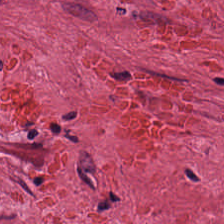224×224 px patch; H&E — Q: Classify this patch.
A: The field shows desmoplastic stroma.
